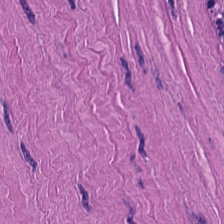{"tissue_type": "smooth muscle"}
